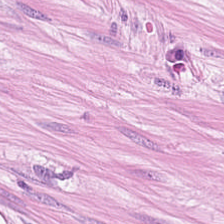H&E stain. Classification: smooth muscle.
